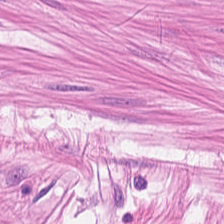WSI patch · H&E — {"tissue_type": "smooth-muscle tissue"}
